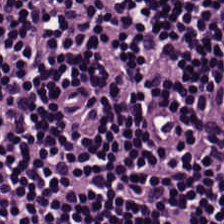Stain: hematoxylin-and-eosin stained section.
Acquisition: whole-slide-image patch.
Tissue type: lymphocytic infiltrate.
